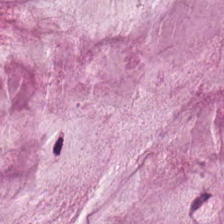Hematoxylin and eosin — Q: Identify the tissue.
A: The field shows mucus.
